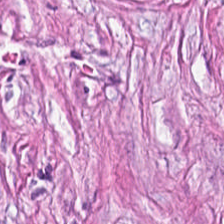Hematoxylin and eosin · 20× equivalent magnification — Predominantly cancer-associated stroma.
